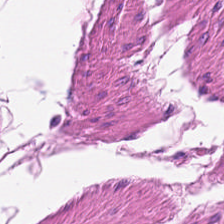Stain: H&E-stained tissue section.
Tissue class: muscularis.
